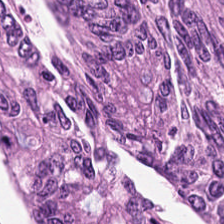Formalin-fixed paraffin-embedded section · H&E-stained tissue section — Impression → colorectal adenocarcinoma epithelium.
